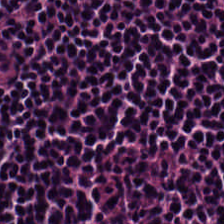H&E. WSI patch — Tissue class: lymphocytes.
